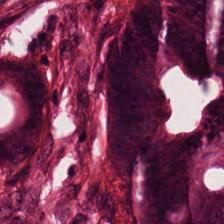Stain: hematoxylin and eosin.
Resolution: 20× equivalent magnification.
Predominant tissue: malignant epithelium.
